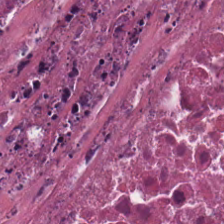224×224 px patch. H&E.
This patch shows necrotic debris.
